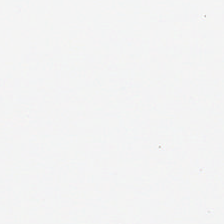Stain: H&E-stained tissue section.
Field content: no tissue.
